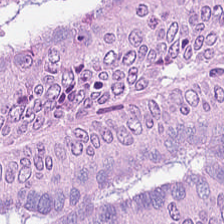H&E stain. Whole-slide-image patch — Tissue: tumor epithelium.
